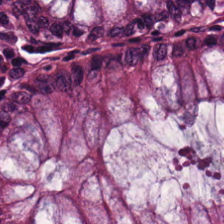Whole-slide-image patch · H&E stain — {"tissue_type": "normal colonic mucosa"}
